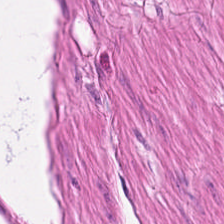FFPE tissue section · H&E-stained tissue section. The tissue here is muscularis.
